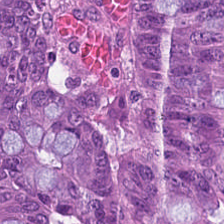H&E-stained tissue section. 224×224 pixel tile — Q: What is shown here?
A: The field shows tumor epithelium.
